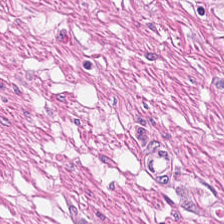Hematoxylin and eosin — Q: What is the predominant tissue type?
A: The field shows smooth muscle.
